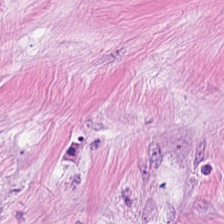H&E stain — Q: What type of tissue is this?
A: The field shows desmoplastic stroma.
